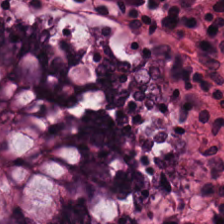{"tissue_type": "non-neoplastic colon mucosa"}
